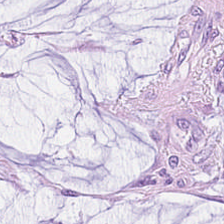H&E-stained tissue section — Impression — extracellular mucin.
